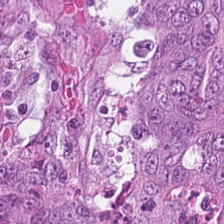H&E — This patch shows adenocarcinoma.
